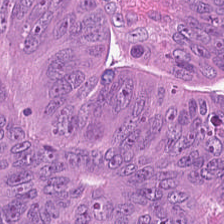H&E stain. Q: What is the predominant tissue type?
A: This is adenocarcinoma.
